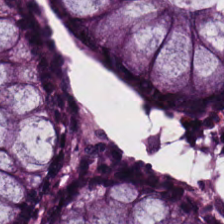Hematoxylin and eosin — Q: What is the predominant tissue type?
A: Normal colon mucosa.
